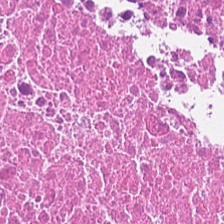H&E — Tissue type = debris.
